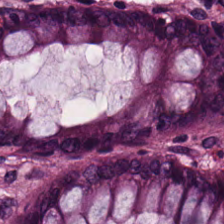H&E-stained tissue section; FFPE. Impression — normal colon mucosa.
